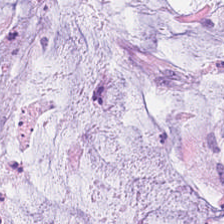Q: Identify the tissue.
A: The field shows mucin.
